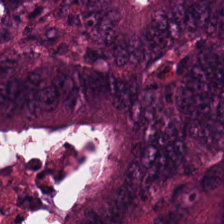H&E stain; formalin-fixed paraffin-embedded section; 224×224 px patch.
The predominant tissue is colorectal adenocarcinoma.
